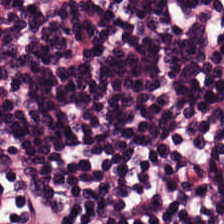Lymphocyte aggregate.
